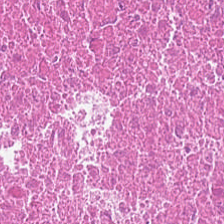Formalin-fixed paraffin-embedded section · 0.5 microns per pixel · H&E stain. Q: What does this patch show?
A: The field shows debris.
